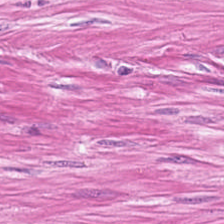Impression — smooth-muscle tissue.
